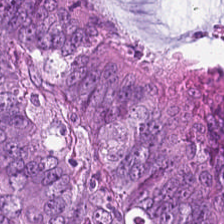Hematoxylin and eosin.
Tissue — malignant epithelium.
